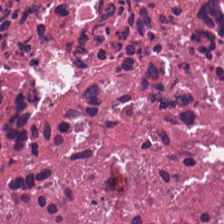H&E-stained tissue section. Tissue class = cellular debris.
